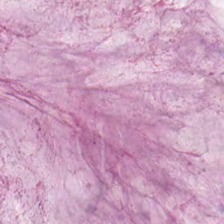FFPE; H&E-stained tissue section. Predominant tissue — extracellular mucin.
